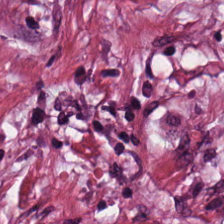Predominant tissue — tumor stroma.
